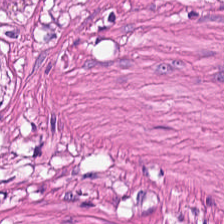Predominant tissue = smooth-muscle tissue.
